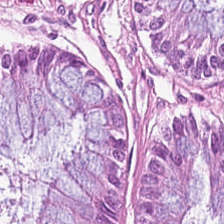H&E stain. Histology — non-neoplastic colon mucosa.
